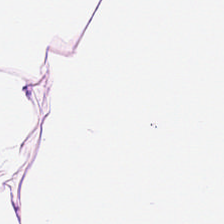This patch shows adipose tissue.
